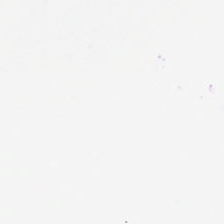H&E-stained tissue section — Field content = no tissue.
